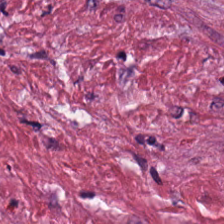H&E-stained tissue section.
Q: What is shown here?
A: Tumor stroma.
